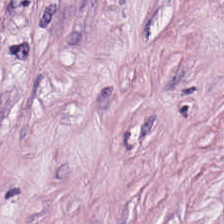0.5 µm per pixel; H&E-stained tissue section; FFPE tissue section. Tissue = cancer-associated stroma.
